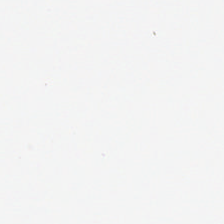Hematoxylin-and-eosin stained section — Histology → no tissue.
